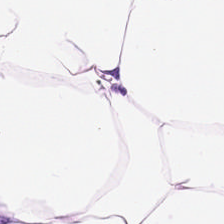Tissue type — adipocytes.
